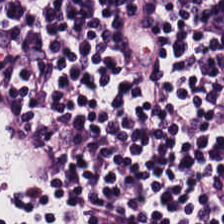H&E stain; 0.5 microns per pixel.
This patch shows lymphocytic infiltrate.
